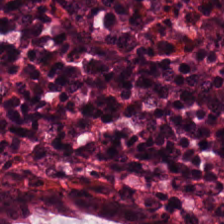Hematoxylin-and-eosin stained section. Histology — non-neoplastic colon mucosa.
